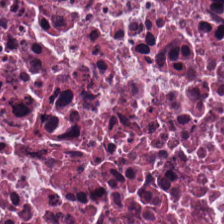Hematoxylin and eosin. 0.5 µm per pixel. 224×224 pixel tile — Tissue class: necrotic debris.
